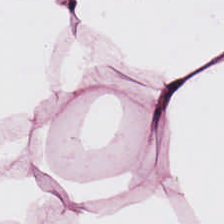H&E-stained tissue section.
{"tissue_type": "adipocytes"}
